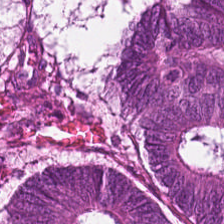H&E-stained tissue section — Finding — malignant epithelium.
